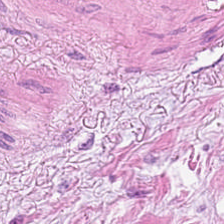Classification: desmoplastic stroma.
